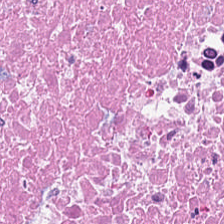Stain: hematoxylin-and-eosin stained section.
Classification: cellular debris.
